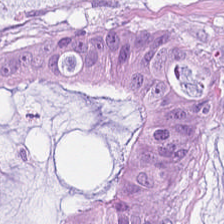Q: Identify the tissue.
A: This is mucin.
